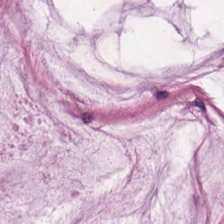Stain: hematoxylin-and-eosin stained section.
Tissue: mucus.
